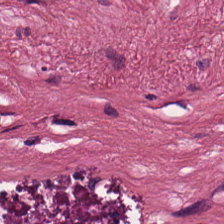H&E · 224×224 px patch.
Predominant tissue: desmoplastic stroma.
